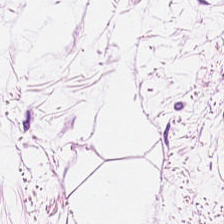Hematoxylin and eosin. {"tissue_type": "adipocytes"}
